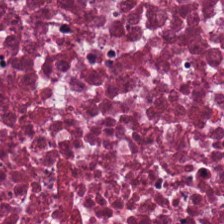H&E stain. Tissue — cellular debris.
